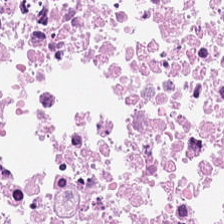224×224 px tile; H&E-stained tissue section.
{"tissue_type": "debris"}
